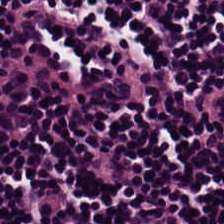H&E. This field is lymphocytes.
